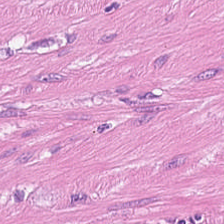Impression — smooth muscle.
